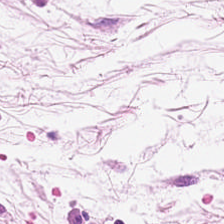Hematoxylin and eosin · FFPE · 0.5 µm per pixel. This field is adipocytes.
